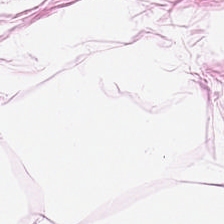Q: What is the predominant tissue type?
A: This is adipocytes.
